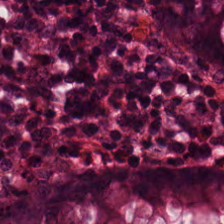Stain: H&E.
Classification: benign colonic mucosa.
